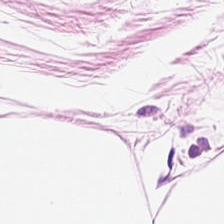Showing adipocytes.
